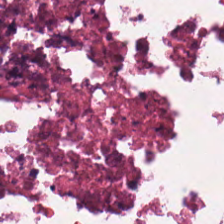Stain: H&E stain.
Tissue class: debris.
